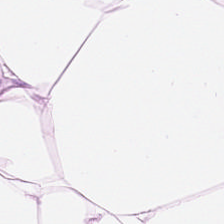H&E.
Q: What is the predominant tissue type?
A: This is adipose tissue.
